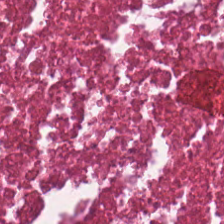Stain: H&E.
Classification: cellular debris.
